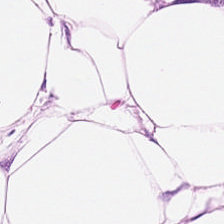Hematoxylin-and-eosin stained section — Q: What is shown in this field?
A: Fat tissue.
